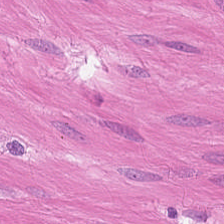Hematoxylin and eosin.
Q: What is the predominant tissue type?
A: The field shows muscularis.
